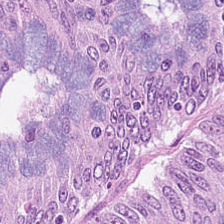H&E stain.
Showing malignant epithelium.
